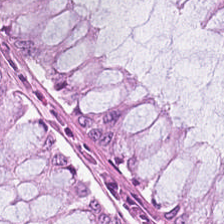H&E.
The predominant tissue is normal colon mucosa.
